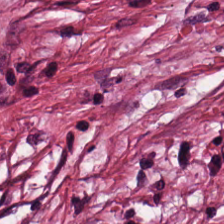H&E-stained tissue section.
Finding → tumor-associated stroma.
